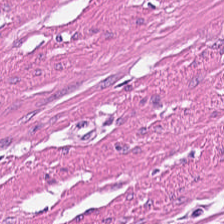Hematoxylin and eosin.
Impression — muscularis.
